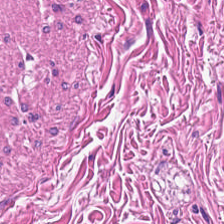H&E-stained tissue section.
Smooth muscle.
